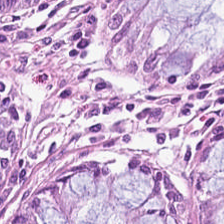H&E; WSI patch.
Q: What type of tissue is this?
A: It is normal colon mucosa.
